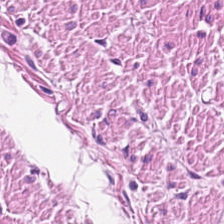Q: What is shown in this field?
A: This is muscularis.
